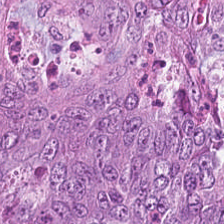H&E stain — This patch shows colorectal adenocarcinoma epithelium.
